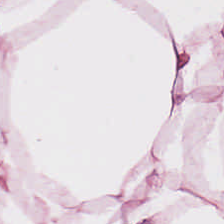FFPE tissue section · brightfield · hematoxylin and eosin — This field is adipose.
